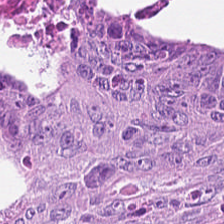Hematoxylin and eosin — Q: What type of tissue is this?
A: It is adenocarcinoma.
